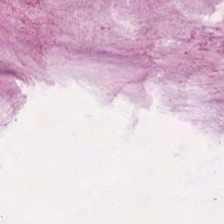Stain: H&E-stained tissue section.
Preparation: FFPE.
Tissue class: extracellular mucin.
